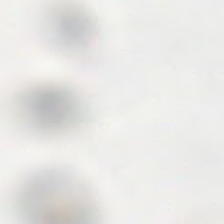224×224 px tile · hematoxylin and eosin.
Field content — empty background.
